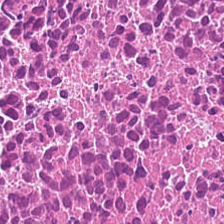Stain: hematoxylin-and-eosin stained section.
Classification: necrotic debris.
